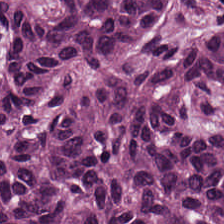Stain: hematoxylin-and-eosin stained section.
Classification: colorectal adenocarcinoma.
